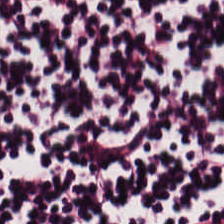H&E-stained section; the field shows lymphocytes.
